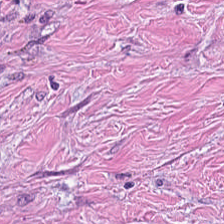Hematoxylin and eosin. Q: What is shown here?
A: This is tumor-associated stroma.
